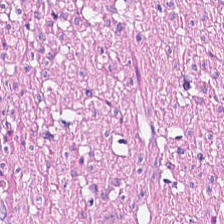Hematoxylin-and-eosin stained section. 0.5 µm/px. 224×224 px patch.
Q: Identify the tissue.
A: Muscularis.
